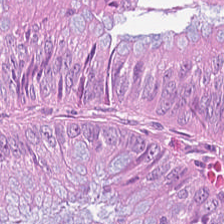Hematoxylin-and-eosin stained section — {"tissue_type": "tumor epithelium"}
